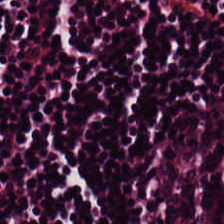Stain: H&E-stained tissue section.
Classification: lymphoid infiltrate.
